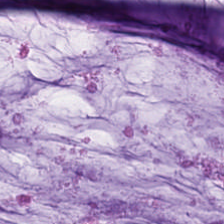224×224 px tile · formalin-fixed paraffin-embedded section · H&E-stained tissue section.
Finding → extracellular mucin.
